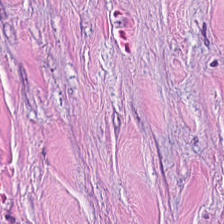Stain: H&E stain.
Acquisition: whole-slide-image patch.
Classification: tumor-associated stroma.
